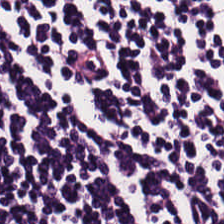Stain: H&E.
Tile size: 224×224 px tile.
Acquisition: WSI patch.
Tissue type: lymphoid infiltrate.
